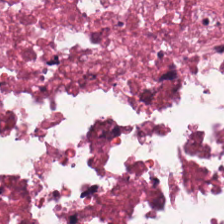Q: What tissue type is shown here?
A: The field shows debris.
